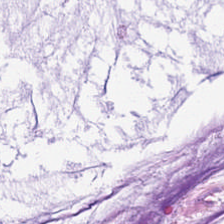Brightfield; H&E — {"tissue_type": "mucus"}
